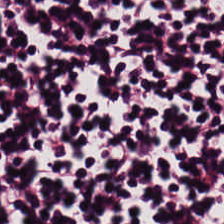Impression → lymphocyte aggregate.
